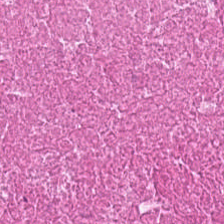H&E-stained tissue section — Tissue class: debris.
